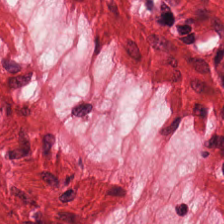H&E.
This field is smooth muscle.
